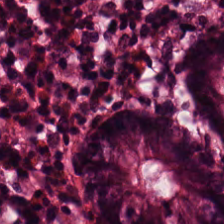Hematoxylin-and-eosin stained section.
This field is normal colon mucosa.
